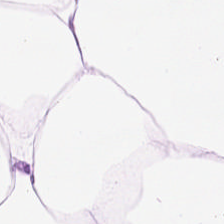H&E-stained tissue section. Q: Classify this patch.
A: This is fat tissue.
